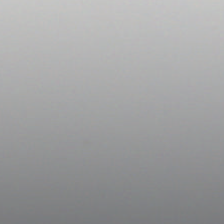Hematoxylin-and-eosin stained section.
This patch shows no tissue.
